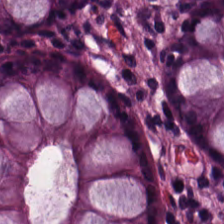H&E-stained tissue section showing normal colon mucosa.
